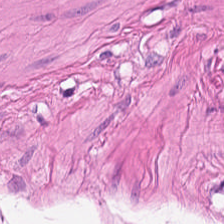Hematoxylin-and-eosin stained section; 224×224 px tile; 20× equivalent magnification. Tissue type: muscularis.
